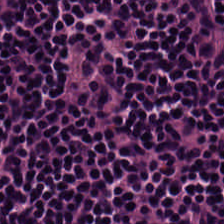Whole-slide-image patch · H&E-stained tissue section — This field is lymphoid infiltrate.
